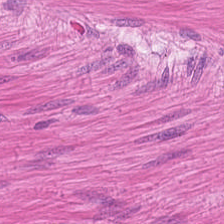Hematoxylin-and-eosin stained section; WSI patch — The classification is smooth-muscle tissue.
